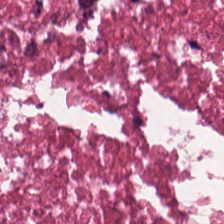H&E — Q: What is shown here?
A: Necrotic debris.
